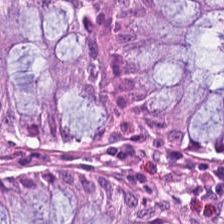224×224 pixel tile; H&E — The classification is normal colonic mucosa.
